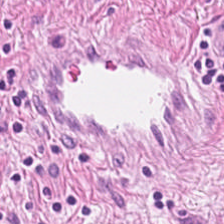Tissue type = smooth muscle.
